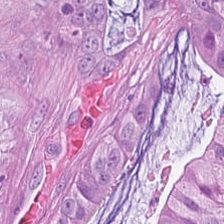Stain: H&E-stained tissue section.
Preparation: FFPE tissue section.
Resolution: 20× equivalent magnification.
Tissue type: tumor epithelium.
